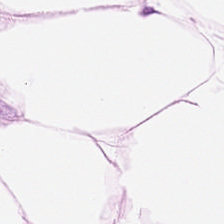Stain: H&E stain.
Predominant tissue: adipose.
